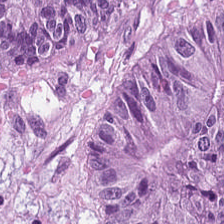224×224 pixel tile · 20× equivalent magnification · H&E stain.
{"tissue_type": "colorectal adenocarcinoma"}
